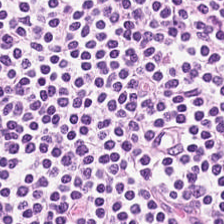This patch shows lymphoid infiltrate.
